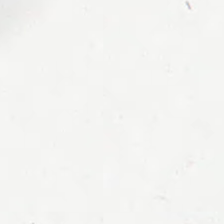Stain: H&E.
Resolution: 0.5 µm/px.
Acquisition: brightfield microscopy.
Field content: background (no tissue).
